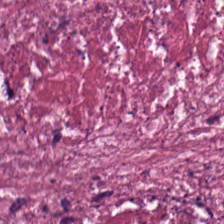H&E-stained tissue section — Histology → necrotic debris.
